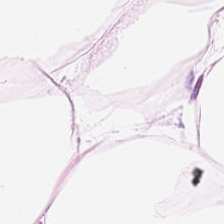Whole-slide-image patch. 224×224 pixel tile. H&E stain. Classification = fat tissue.
